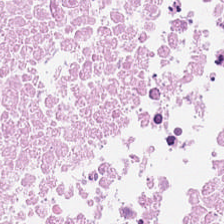Stain: H&E-stained tissue section.
Predominant tissue: debris.
